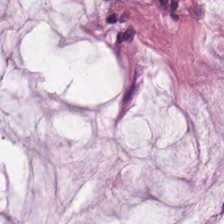H&E.
Tissue type — extracellular mucin.
